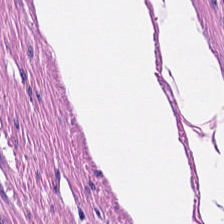Hematoxylin and eosin — This patch shows muscularis.
